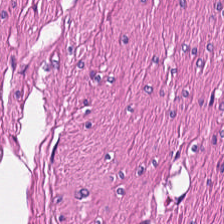H&E-stained section; the field shows muscularis.
